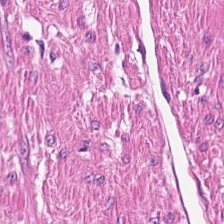Tissue type — muscularis.
